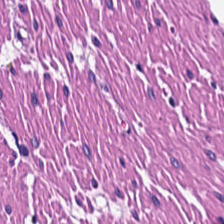WSI patch. Hematoxylin and eosin.
Tissue: smooth-muscle tissue.
